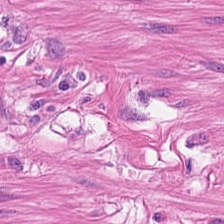H&E; FFPE tissue section; 0.5 µm/px — Impression → smooth-muscle tissue.
